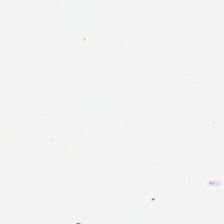WSI patch. H&E stain. 224×224 pixel tile — Finding — no tissue.
